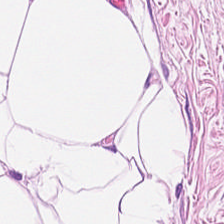FFPE tissue section · 224×224 pixel tile · H&E.
The tissue is adipocytes.
